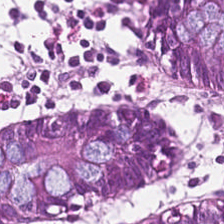H&E — benign colonic mucosa.
